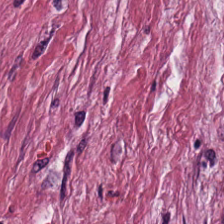224×224 pixel tile. 0.5 µm/px. H&E — {"tissue_type": "tumor-associated stroma"}
